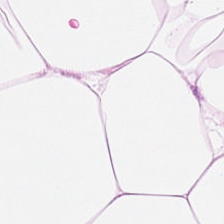Stain: H&E-stained tissue section.
Acquisition: whole-slide-image patch.
Resolution: 20× equivalent magnification.
Tissue type: adipose.
